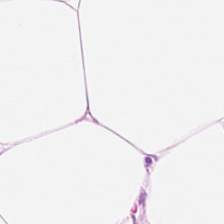Showing adipose tissue.
